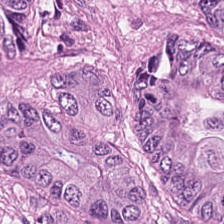Formalin-fixed paraffin-embedded section · 0.5 µm per pixel · H&E.
This field is tumor epithelium.
